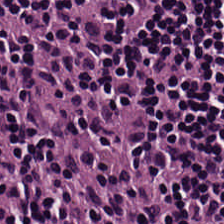224×224 px patch · H&E-stained tissue section. Q: What is the predominant tissue type?
A: It is lymphocyte aggregate.
